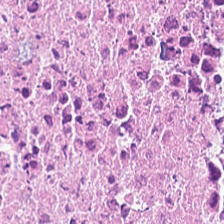Stain: H&E.
Predominant tissue: necrotic debris.
